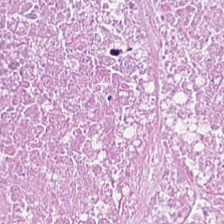Hematoxylin and eosin. This field is debris.
